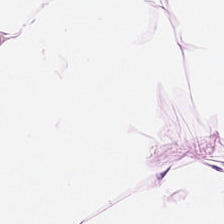Stain: H&E-stained tissue section.
Tissue type: adipose tissue.
